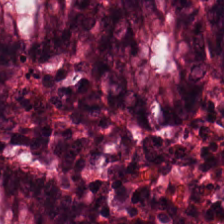224×224 px tile · H&E — Q: What is shown here?
A: This is normal colonic mucosa.
